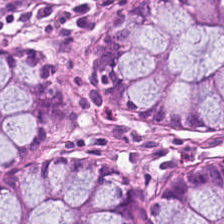Hematoxylin and eosin.
Tissue class: non-neoplastic colon mucosa.
